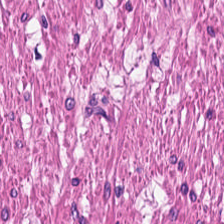224×224 pixel tile. Hematoxylin and eosin.
This field is smooth-muscle tissue.
